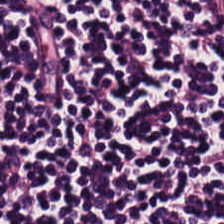H&E stain · FFPE tissue section.
The predominant tissue is lymphoid infiltrate.
